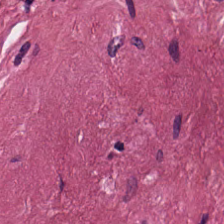H&E; 20× equivalent magnification — Q: What does this patch show?
A: This is tumor-associated stroma.
